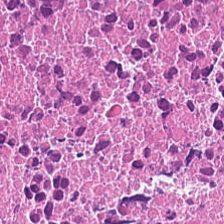Hematoxylin-and-eosin stained section.
Debris.
